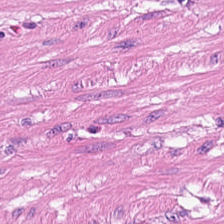20× equivalent magnification; H&E stain; formalin-fixed paraffin-embedded section. This patch shows muscularis.
